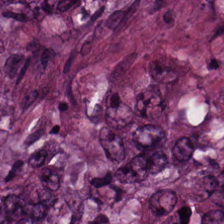H&E stain.
This patch shows adenocarcinoma.
